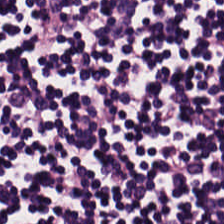H&E stain; brightfield — {"tissue_type": "lymphocytes"}
